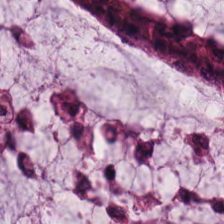H&E. Tissue: mucin.
